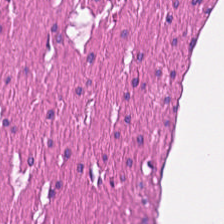Hematoxylin-and-eosin stained section — Tissue class = muscularis.
